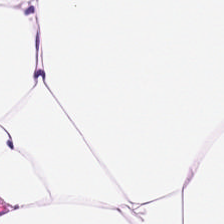H&E-stained section; the field shows adipose tissue.
